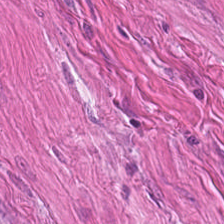H&E-stained section; the field shows smooth-muscle tissue.
